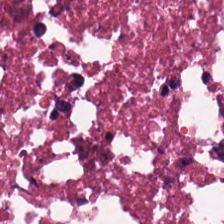0.5 µm per pixel. Hematoxylin and eosin — The predominant tissue is cellular debris.
